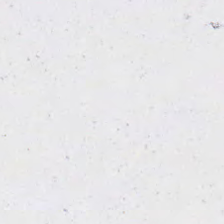H&E; brightfield microscopy. Empty background.
